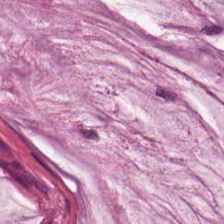The tissue is mucin.
